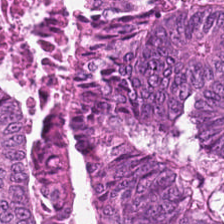224×224 pixel tile · H&E stain · FFPE.
Tissue type: malignant epithelium.
